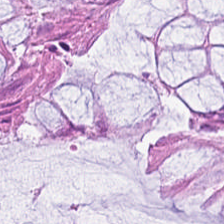Tissue type — non-neoplastic colon mucosa.
